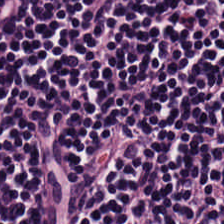224×224 pixel tile · hematoxylin and eosin · 0.5 µm/px.
Lymphocyte aggregate.
